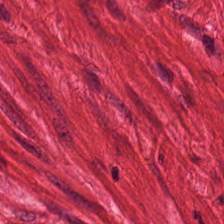H&E-stained tissue section — Classification: smooth-muscle tissue.
